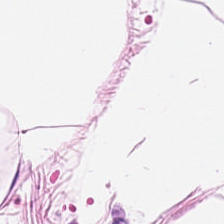H&E-stained tissue section. FFPE tissue section — Tissue — adipose.
